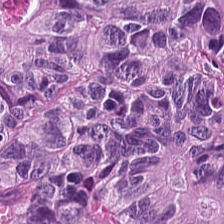Hematoxylin and eosin · 0.5 microns per pixel.
Predominantly adenocarcinoma.
